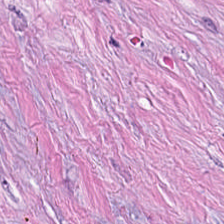H&E. Brightfield microscopy. FFPE.
This field is desmoplastic stroma.
